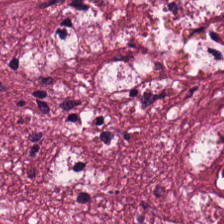Formalin-fixed paraffin-embedded section · hematoxylin and eosin · 0.5 µm/px.
This patch shows cancer-associated stroma.
